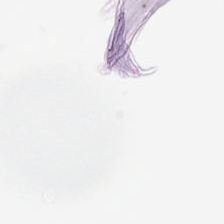Stain: hematoxylin and eosin.
Resolution: 0.5 µm/px.
Acquisition: WSI patch.
Content: no tissue.
